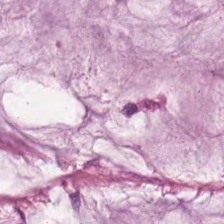H&E-stained tissue section — Q: Classify this patch.
A: This is extracellular mucin.
